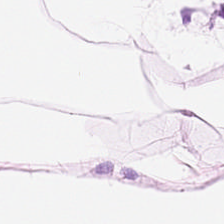Hematoxylin and eosin. Showing adipose.
